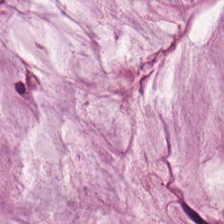Hematoxylin and eosin.
Tissue type — mucin.
